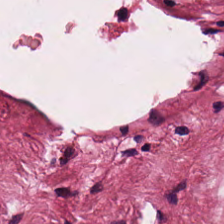Tissue class — cancer-associated stroma.
